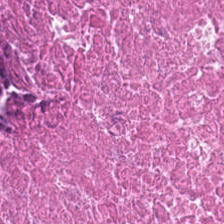224×224 px patch; hematoxylin-and-eosin stained section. Showing cellular debris.
